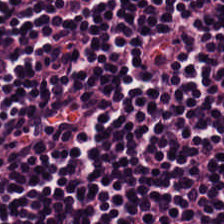Hematoxylin and eosin — Q: What tissue type is shown here?
A: This is lymphoid infiltrate.
